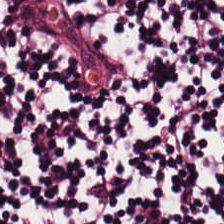WSI patch · H&E stain — Showing lymphocyte aggregate.
